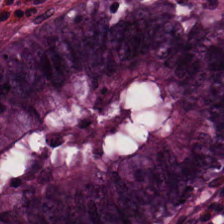H&E stain · 224×224 px tile — Non-neoplastic colon mucosa.
